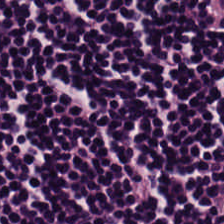Stain: hematoxylin-and-eosin stained section.
Acquisition: brightfield microscopy.
Tile size: 224×224 pixel tile.
Tissue: lymphoid infiltrate.
